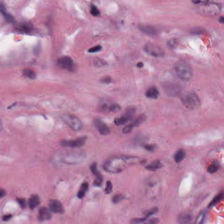Tissue — cancer-associated stroma.
